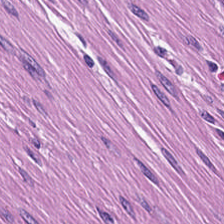Hematoxylin and eosin. Classification = muscularis.
